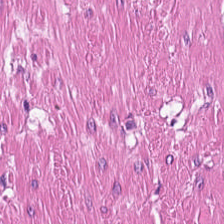H&E.
Tissue class = smooth muscle.
